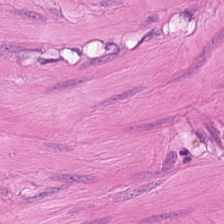0.5 microns per pixel · H&E-stained tissue section — The tissue type is smooth muscle.
